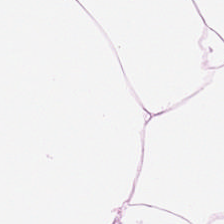Hematoxylin and eosin; 224×224 px tile.
Q: What type of tissue is this?
A: It is fat tissue.
